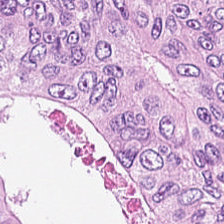Hematoxylin-and-eosin stained section. 224×224 pixel tile. 0.5 µm per pixel. Q: What type of tissue is this?
A: Adenocarcinoma.
